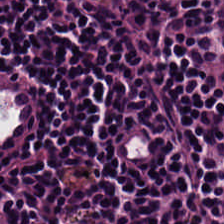Lymphocytes.
